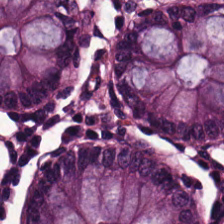Brightfield microscopy. Hematoxylin and eosin. 0.5 µm/px. {"tissue_type": "non-neoplastic colon mucosa"}
